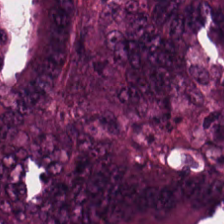H&E.
This field is tumor epithelium.
